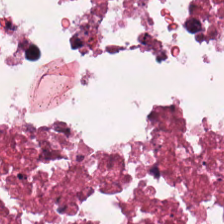Q: Classify this patch.
A: The field shows necrotic debris.
